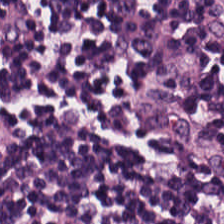Hematoxylin and eosin; FFPE — The classification is lymphocyte aggregate.
